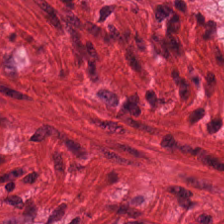Formalin-fixed paraffin-embedded section · 0.5 µm per pixel · H&E stain — Q: What type of tissue is this?
A: This is smooth muscle.
